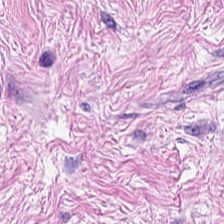Stain: hematoxylin-and-eosin stained section.
Acquisition: brightfield.
Classification: cancer-associated stroma.
